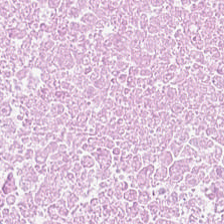Hematoxylin and eosin.
Q: What tissue is shown?
A: This is cellular debris.
